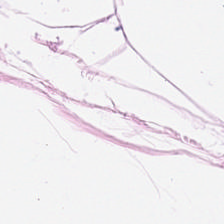H&E-stained tissue section.
Showing fat tissue.
